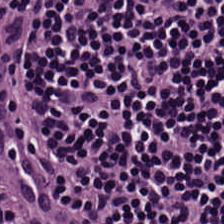0.5 µm/px; hematoxylin-and-eosin stained section.
{"tissue_type": "lymphocyte aggregate"}
